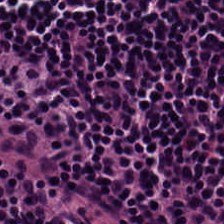Hematoxylin and eosin. This patch shows lymphocytic infiltrate.
